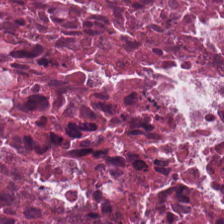H&E stain. Tissue: debris.
